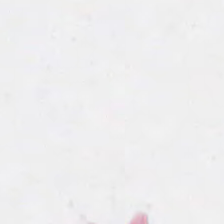224×224 px tile; hematoxylin and eosin. This patch shows empty background.
